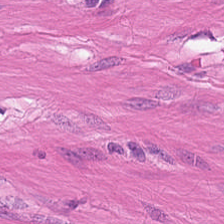Hematoxylin and eosin — The tissue here is muscularis.
